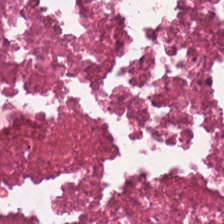Hematoxylin and eosin.
The tissue here is cellular debris.
